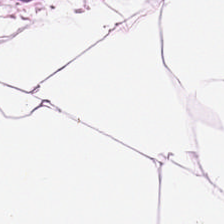H&E stain; 20× equivalent magnification; FFPE tissue section. {"tissue_type": "fat tissue"}
